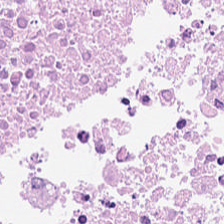H&E. Tissue: necrotic debris.
